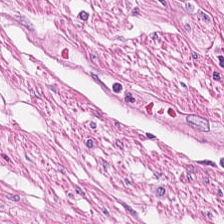FFPE. H&E — The tissue here is smooth muscle.
